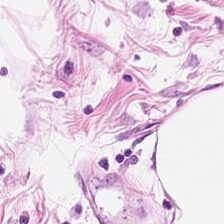H&E-stained tissue section.
Q: Identify the tissue.
A: The field shows fat tissue.
